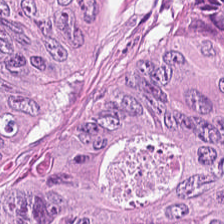Hematoxylin-and-eosin section: colorectal adenocarcinoma.
